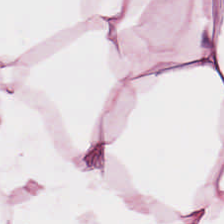Stain: H&E stain.
Tissue type: adipose.
